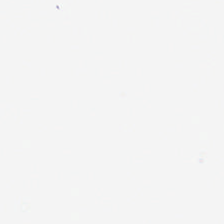Q: What is shown here?
A: The field shows no tissue.
